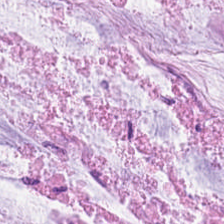Hematoxylin-and-eosin stained section. Predominantly extracellular mucin.
